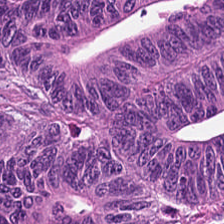Stain: H&E stain.
Tile size: 224×224 px tile.
Acquisition: brightfield microscopy.
Tissue: malignant epithelium.
